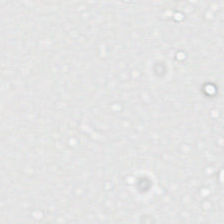Background — no tissue in this field.
